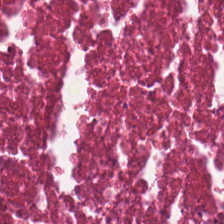H&E-stained tissue section.
Histology → debris.
